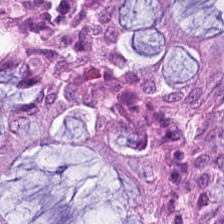H&E stain. Finding → normal colonic mucosa.
